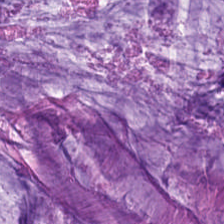Stain: H&E-stained tissue section.
Classification: mucus.
